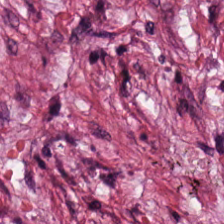H&E · 224×224 pixel tile · formalin-fixed paraffin-embedded section. Classification: cancer-associated stroma.
